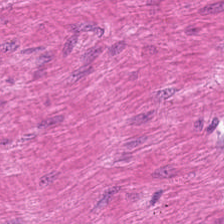H&E. This field is smooth-muscle tissue.
